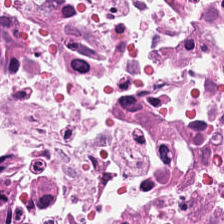Hematoxylin-and-eosin stained section. This patch shows debris.
